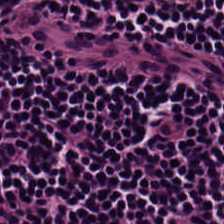Q: What tissue is shown?
A: This is lymphocyte aggregate.
